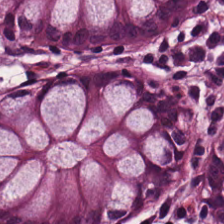H&E. Predominant tissue: normal colonic mucosa.
